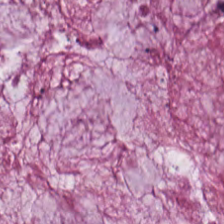This patch shows extracellular mucin.
